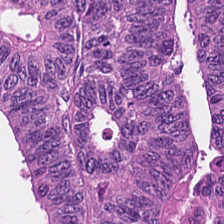Formalin-fixed paraffin-embedded section · hematoxylin-and-eosin stained section. Tissue class = colorectal adenocarcinoma epithelium.
